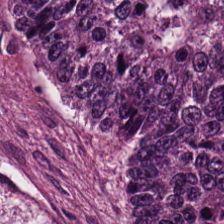H&E stain. Q: What tissue is shown?
A: Colorectal adenocarcinoma epithelium.
